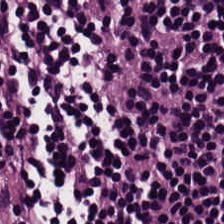H&E-stained tissue section; 224×224 px patch — This patch shows lymphocytic infiltrate.
